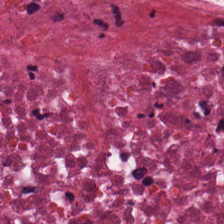The tissue here is cellular debris.
